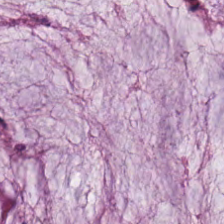20× equivalent magnification; hematoxylin-and-eosin stained section. {"tissue_type": "mucin"}
